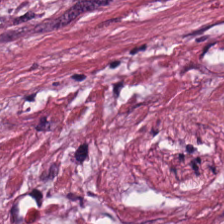H&E stain — Q: What is the predominant tissue type?
A: This is desmoplastic stroma.
